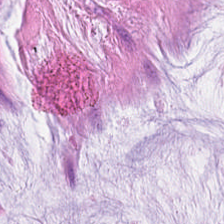Q: What tissue type is shown here?
A: It is mucus.
